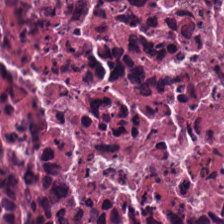H&E stain. {"tissue_type": "debris"}
